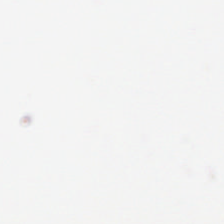Hematoxylin-and-eosin stained section. The classification is no tissue.
